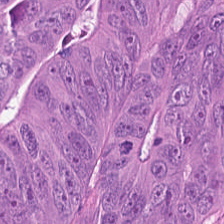{"tissue_type": "tumor epithelium"}
